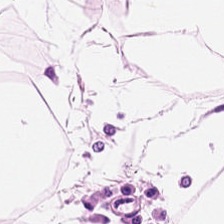Hematoxylin-and-eosin stained section — Showing fat tissue.
